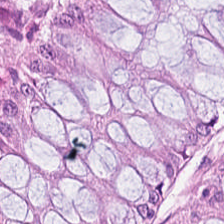Stain: hematoxylin and eosin.
Tissue type: benign colonic mucosa.
